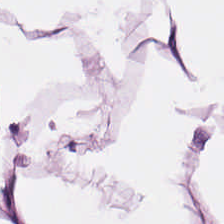H&E-stained tissue section. Q: What tissue is shown?
A: It is adipose tissue.
